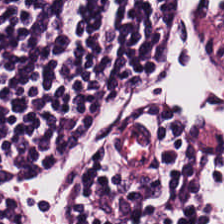H&E-stained tissue section. Q: Identify the tissue.
A: The field shows lymphocytes.
